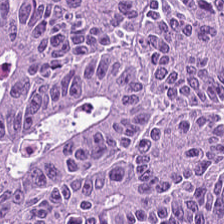H&E stain — Predominantly colorectal adenocarcinoma epithelium.
